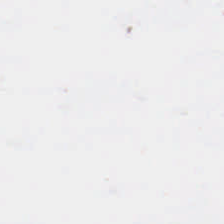H&E-stained tissue section · brightfield microscopy.
Classification: background (no tissue).
